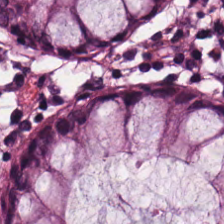Stain: hematoxylin and eosin.
Tissue class: benign colonic mucosa.
